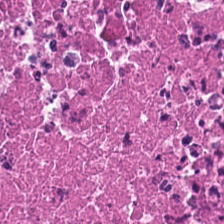FFPE tissue section; hematoxylin-and-eosin stained section.
The tissue here is cellular debris.
